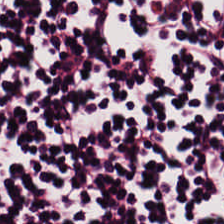H&E — Tissue class — lymphocytes.
